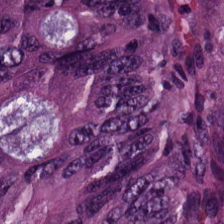Predominant tissue = malignant epithelium.
